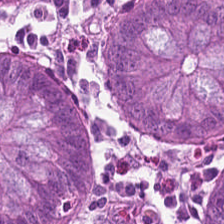H&E stain — Finding → non-neoplastic colon mucosa.
